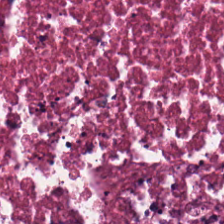Hematoxylin and eosin.
Predominantly necrotic debris.
